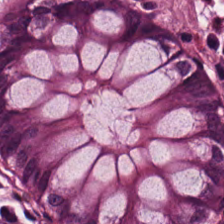Hematoxylin-and-eosin stained section.
Impression — benign colonic mucosa.
